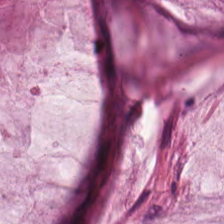224×224 pixel tile. H&E.
Classification = extracellular mucin.
